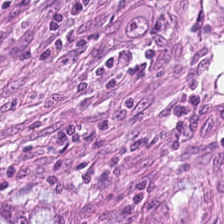Predominantly tumor epithelium.
